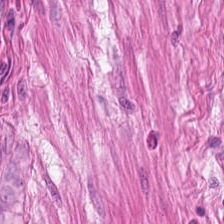H&E-stained tissue section. This field is smooth-muscle tissue.
